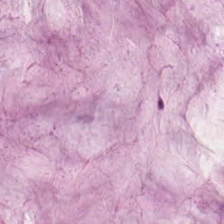FFPE tissue section. Hematoxylin and eosin.
Q: What does this patch show?
A: This is mucin.
